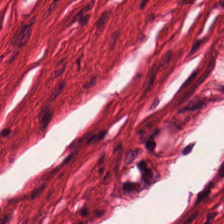Hematoxylin and eosin. Classification: muscularis.
